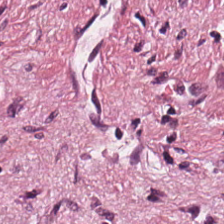H&E — cancer-associated stroma.
